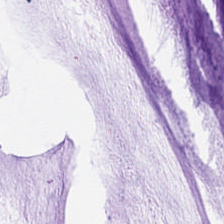H&E-stained tissue section.
Q: What is shown in this field?
A: Extracellular mucin.
